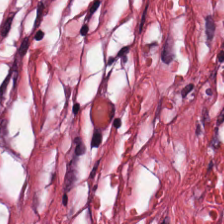Tissue class — cancer-associated stroma.
